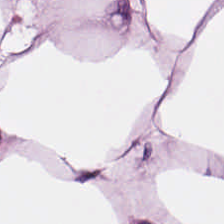Hematoxylin-and-eosin stained section. Classification = adipose.
